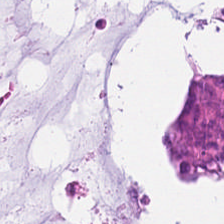H&E-stained tissue section · 0.5 microns per pixel · brightfield — {"tissue_type": "mucus"}
